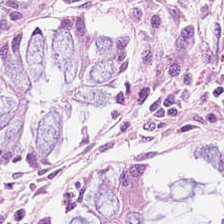H&E; whole-slide-image patch.
Finding → normal colonic mucosa.
